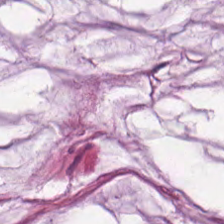The tissue type is extracellular mucin.
